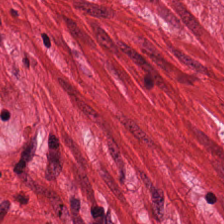The predominant tissue is smooth muscle.
